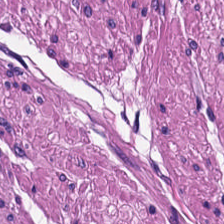Hematoxylin and eosin.
Showing smooth muscle.
